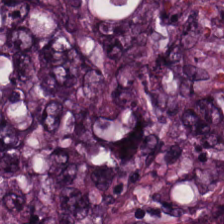Hematoxylin-and-eosin stained section; 224×224 px tile; WSI patch — Q: What type of tissue is this?
A: The field shows colorectal adenocarcinoma epithelium.
